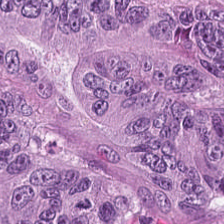FFPE tissue section · WSI patch · H&E — Predominantly colorectal adenocarcinoma epithelium.
